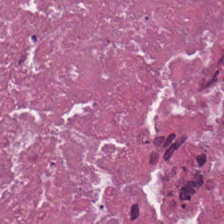Histology — cellular debris.
